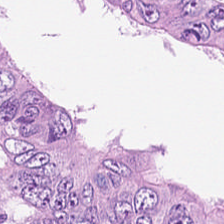Hematoxylin-and-eosin stained section · FFPE tissue section · 0.5 µm/px. Q: What is shown here?
A: The field shows colorectal adenocarcinoma epithelium.
